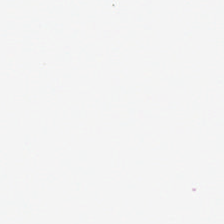Stain: hematoxylin and eosin.
Field content: empty background.
